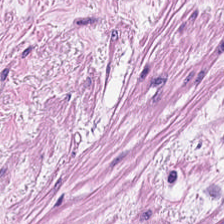Classification: smooth-muscle tissue.
